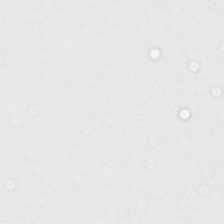H&E stain. The classification is empty background.
